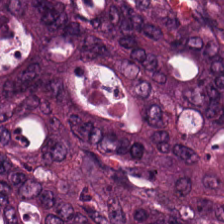224×224 px tile · H&E. Q: Identify the tissue.
A: This is malignant epithelium.
